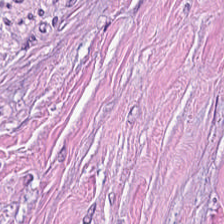0.5 microns per pixel; hematoxylin-and-eosin stained section — Classification = desmoplastic stroma.
